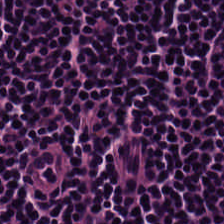Stain: hematoxylin-and-eosin stained section.
Acquisition: whole-slide-image patch.
Tile size: 224×224 px patch.
Tissue: lymphoid infiltrate.
